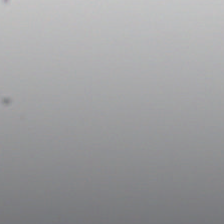Hematoxylin and eosin — The content is no tissue.
